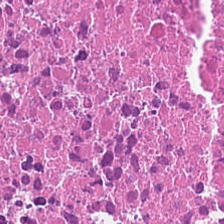Stain: H&E stain.
Preparation: FFPE tissue section.
Classification: cellular debris.
